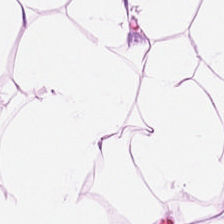Hematoxylin and eosin — Histology → adipose.
